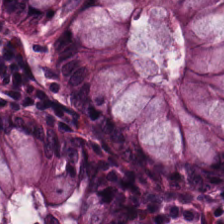H&E stain.
Impression — normal colon mucosa.
